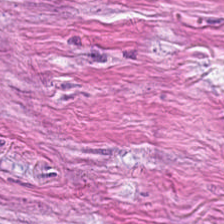Hematoxylin-and-eosin stained section. The predominant tissue is desmoplastic stroma.
